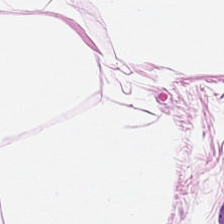Q: What is the predominant tissue type?
A: The field shows fat tissue.
